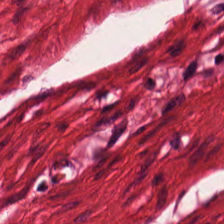Stain: H&E.
Predominant tissue: smooth-muscle tissue.
